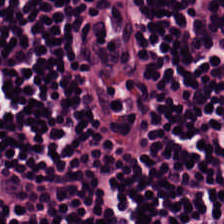H&E stain.
Q: What is the predominant tissue type?
A: Lymphocytes.
